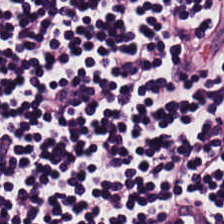224×224 px tile · hematoxylin-and-eosin stained section — Showing lymphocyte aggregate.
